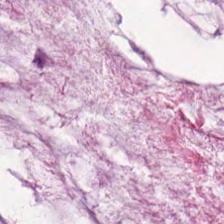FFPE tissue section · hematoxylin and eosin. This patch shows mucus.
